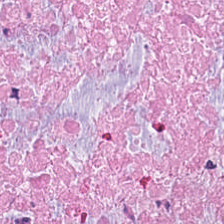Q: Identify the tissue.
A: The field shows cellular debris.
